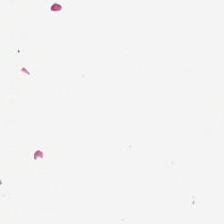The field content is background.
